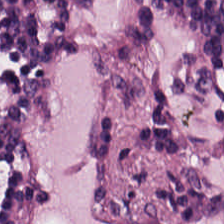Hematoxylin-and-eosin stained section.
The classification is lymphoid infiltrate.
